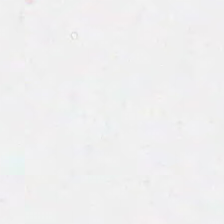Stain: hematoxylin and eosin.
Field content: background.
